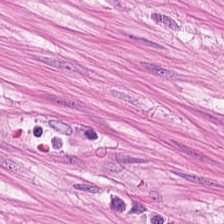Hematoxylin and eosin. This patch shows muscularis.
